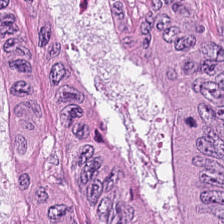Hematoxylin and eosin · whole-slide-image patch · 224×224 pixel tile. The tissue here is colorectal adenocarcinoma epithelium.
